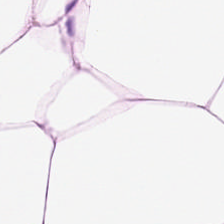H&E-stained tissue section. This field is adipose tissue.
